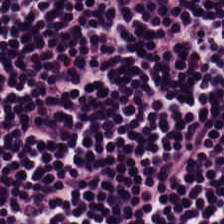Whole-slide-image patch; hematoxylin and eosin; 224×224 px tile. Tissue type = lymphocyte aggregate.
